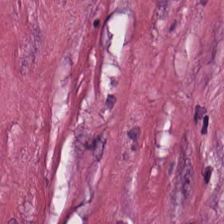H&E stain. The predominant tissue is desmoplastic stroma.
